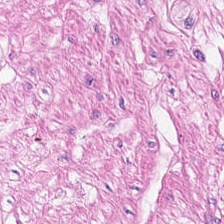H&E stain — Predominantly smooth-muscle tissue.
